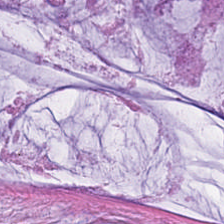Hematoxylin-and-eosin stained section; 224×224 px patch — Showing mucus.
